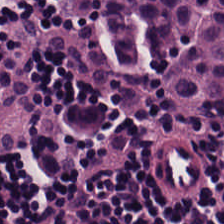{"tissue_type": "lymphocytes"}
